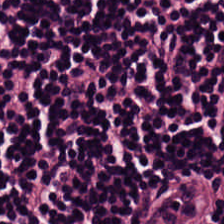224×224 px patch · hematoxylin and eosin.
{"tissue_type": "lymphocytes"}
